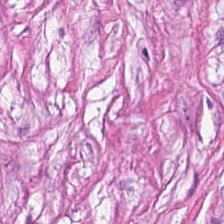H&E-stained tissue section; 0.5 microns per pixel; 224×224 pixel tile. This field is desmoplastic stroma.
